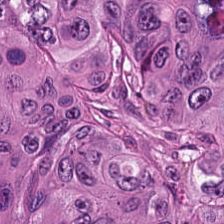H&E-stained tissue section · formalin-fixed paraffin-embedded section — This patch shows colorectal adenocarcinoma epithelium.
